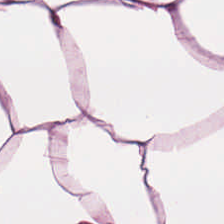Q: What tissue type is shown here?
A: It is adipose tissue.
